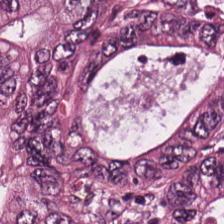H&E stain — Q: What tissue type is shown here?
A: This is tumor epithelium.
